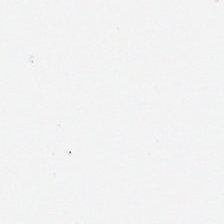H&E-stained tissue section. Brightfield — Q: Classify this patch.
A: The field shows empty background.
